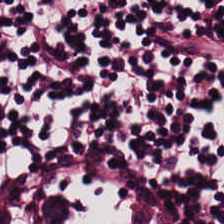H&E-stained tissue section — Tissue — lymphoid infiltrate.
